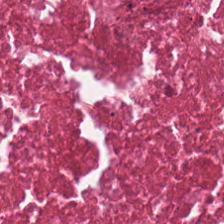0.5 microns per pixel; H&E-stained tissue section.
This field is debris.
